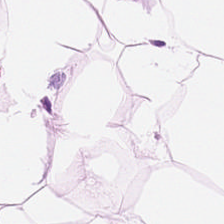H&E; FFPE tissue section. Impression — fat tissue.
